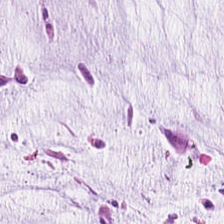Hematoxylin and eosin — Tissue = mucin.
